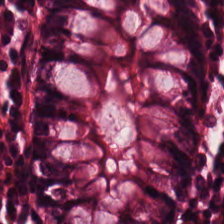Brightfield microscopy. Hematoxylin-and-eosin stained section — Predominantly benign colonic mucosa.
